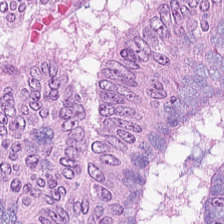H&E-stained tissue section.
The predominant tissue is colorectal adenocarcinoma epithelium.
